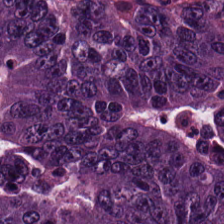Hematoxylin and eosin. Q: What does this patch show?
A: Adenocarcinoma.
